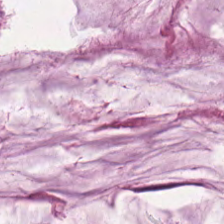H&E; 0.5 microns per pixel — Q: Classify this patch.
A: This is mucus.
